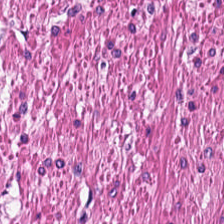H&E-stained tissue section. Tissue — smooth-muscle tissue.
